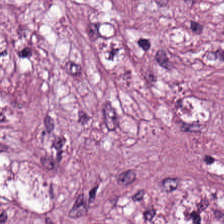Stain: hematoxylin and eosin.
Preparation: formalin-fixed paraffin-embedded section.
Resolution: 0.5 µm per pixel.
Tissue type: tumor-associated stroma.
